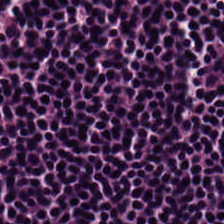Brightfield; hematoxylin and eosin — This patch shows lymphoid infiltrate.
